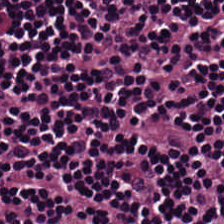H&E stain. FFPE tissue section. 0.5 microns per pixel. This field is lymphocyte aggregate.
